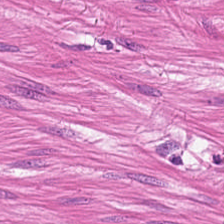0.5 microns per pixel; H&E; WSI patch — This field is smooth muscle.
